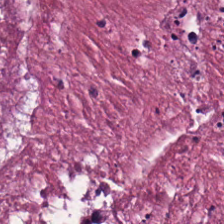H&E-stained tissue section; 224×224 px patch; WSI patch. Tissue class: necrotic debris.
